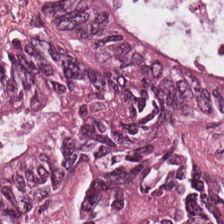H&E-stained tissue section; FFPE; WSI patch.
{"tissue_type": "adenocarcinoma"}
